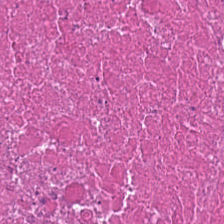Finding — debris.
